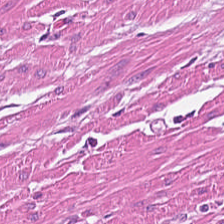FFPE · H&E-stained tissue section.
Smooth muscle.
